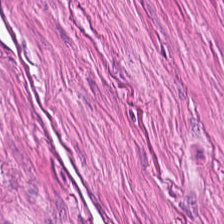H&E patch showing muscularis.
